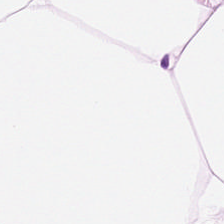20× equivalent magnification · hematoxylin and eosin · 224×224 px patch. The tissue is adipocytes.
